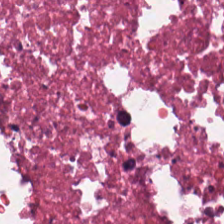Necrotic debris.
